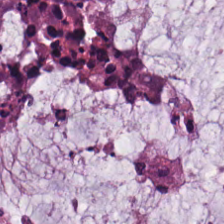Hematoxylin and eosin; 224×224 px tile. Predominantly mucin.
